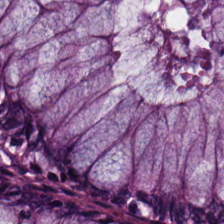The classification is normal colon mucosa.
